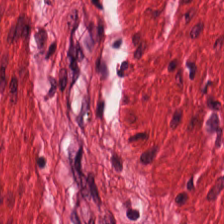Hematoxylin-and-eosin stained section. 224×224 pixel tile. Tissue class = smooth muscle.
